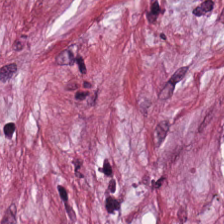H&E stain · 0.5 microns per pixel.
Cancer-associated stroma.
